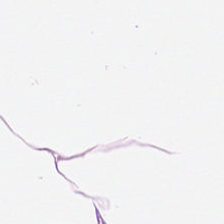Hematoxylin and eosin.
Showing adipocytes.
